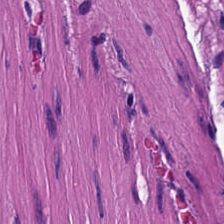H&E stain.
Tissue = muscularis.
